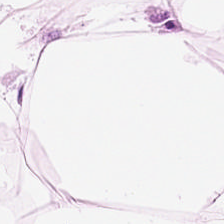Hematoxylin and eosin — This patch shows adipocytes.
